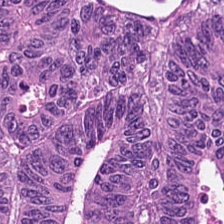Hematoxylin-and-eosin stained section. Tissue class — colorectal adenocarcinoma.
